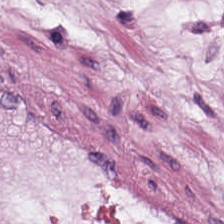FFPE · 0.5 µm/px · H&E-stained tissue section — Q: What is shown here?
A: It is adipose.
